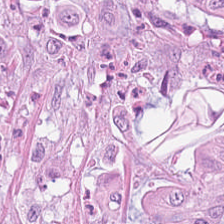Stain: H&E.
Tissue class: tumor epithelium.
